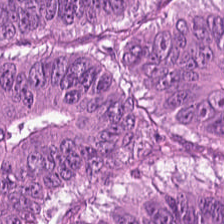Hematoxylin-and-eosin stained section. Histology — colorectal adenocarcinoma epithelium.
